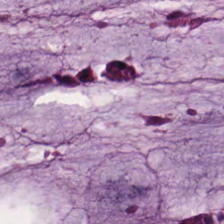20× equivalent magnification. FFPE tissue section. H&E-stained tissue section.
Predominantly extracellular mucin.
